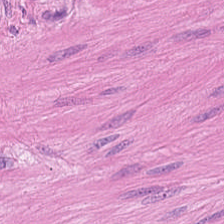Hematoxylin-and-eosin stained section.
This field is muscularis.
